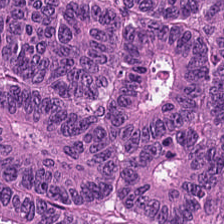Q: What does this patch show?
A: The field shows adenocarcinoma.
